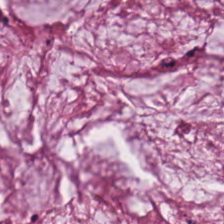Hematoxylin-and-eosin stained section — Q: What tissue is shown?
A: This is extracellular mucin.
